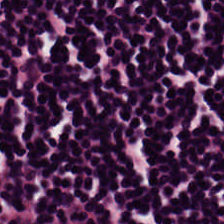224×224 px patch; H&E stain. Q: Identify the tissue.
A: Lymphoid infiltrate.
